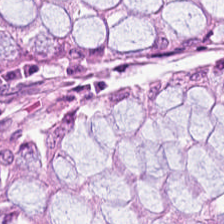H&E — Q: What tissue is shown?
A: Normal colonic mucosa.
